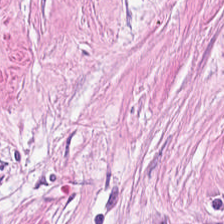Stain: hematoxylin-and-eosin stained section.
Preparation: FFPE tissue section.
Predominant tissue: cancer-associated stroma.
